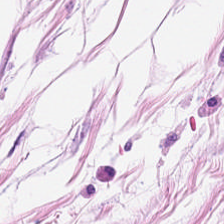H&E-stained tissue section — Predominantly adipose.
